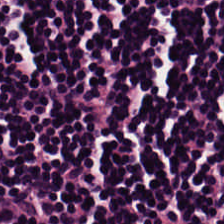H&E stain — Q: Identify the tissue.
A: Lymphocytic infiltrate.
